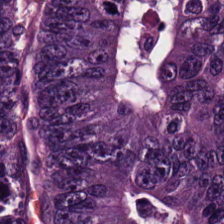H&E patch showing colorectal adenocarcinoma.
